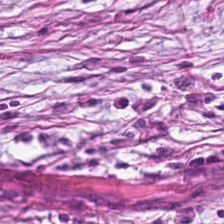Brightfield microscopy. Hematoxylin-and-eosin stained section. Showing desmoplastic stroma.
